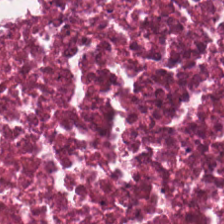Whole-slide-image patch · H&E · 224×224 pixel tile — This field is cellular debris.
